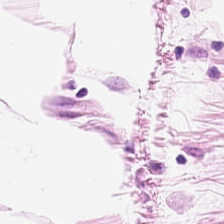Brightfield microscopy · 224×224 px patch · hematoxylin-and-eosin stained section — Classification — adipose tissue.
